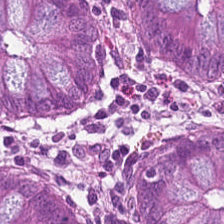H&E stain. Finding — benign colonic mucosa.
